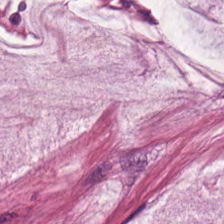Hematoxylin-and-eosin stained section. This patch shows mucin.
